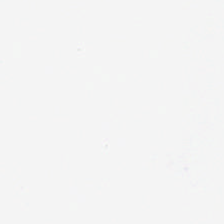Hematoxylin-and-eosin stained section. 224×224 pixel tile — The classification is no tissue.
